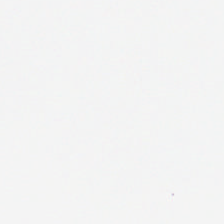Q: What does this patch show?
A: It is background.
